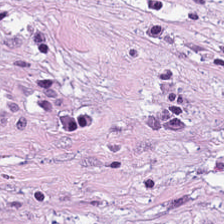Q: Identify the tissue.
A: The field shows tumor stroma.
